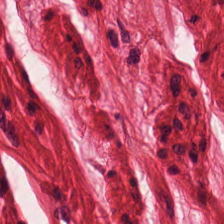224×224 pixel tile · hematoxylin-and-eosin stained section.
Smooth-muscle tissue.
